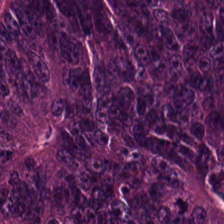Tissue class = colorectal adenocarcinoma.
